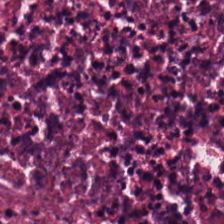H&E stain. The predominant tissue is debris.
